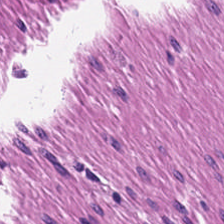H&E patch showing smooth-muscle tissue.
